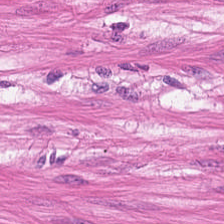H&E stain — Finding → smooth muscle.
